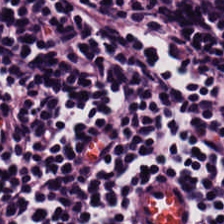Stain: hematoxylin-and-eosin stained section.
Classification: lymphocytic infiltrate.
